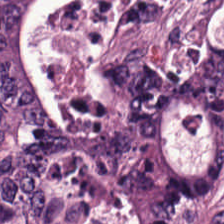0.5 microns per pixel; H&E stain.
Q: Identify the tissue.
A: This is adenocarcinoma.
